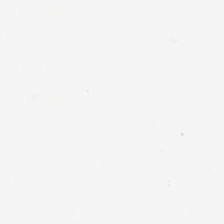Stain: H&E-stained tissue section.
Field content: background (no tissue).
